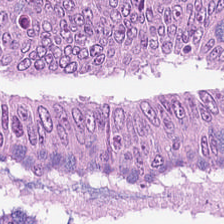224×224 px patch; H&E-stained tissue section — Tissue class — tumor epithelium.
